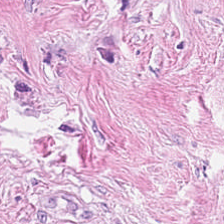Hematoxylin-and-eosin stained section · 224×224 px tile. Classification — tumor stroma.
